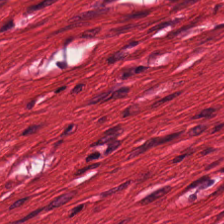H&E stain — Tissue — muscularis.
